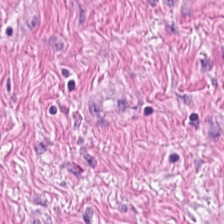Hematoxylin-and-eosin stained section. Q: What does this patch show?
A: Muscularis.
